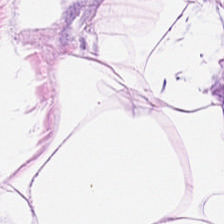Hematoxylin and eosin. The tissue type is fat tissue.
